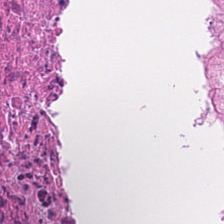0.5 µm/px. Hematoxylin-and-eosin stained section. Finding → necrotic debris.
